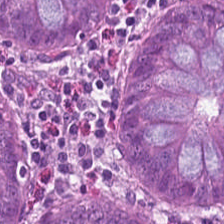Normal colon mucosa.
